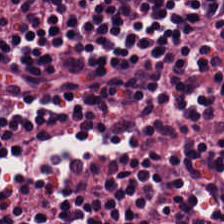H&E-stained tissue section. Impression — lymphocyte aggregate.
